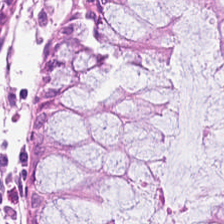224×224 pixel tile; hematoxylin and eosin. Q: What is shown in this field?
A: Normal colon mucosa.
